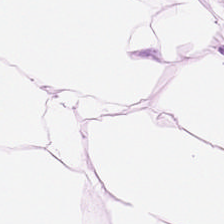Stain: H&E-stained tissue section.
Acquisition: brightfield microscopy.
Resolution: 20× equivalent magnification.
Tissue type: fat tissue.
